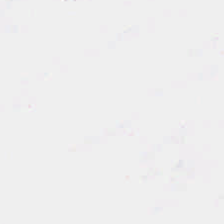H&E — Classification — background (no tissue).
